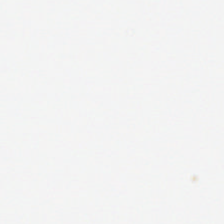H&E stain; 224×224 pixel tile — Background — no tissue in this field.
